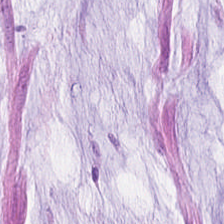Stain: hematoxylin and eosin.
Classification: mucus.
